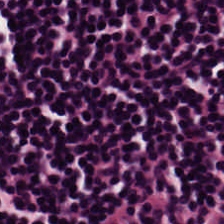Formalin-fixed paraffin-embedded section. H&E stain.
Lymphocytes.
